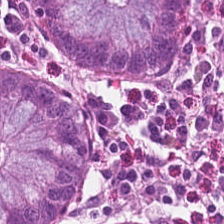Stain: hematoxylin and eosin.
Resolution: 0.5 µm/px.
Tile size: 224×224 pixel tile.
Tissue type: normal colonic mucosa.
